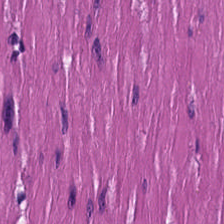H&E stain. The predominant tissue is smooth muscle.
